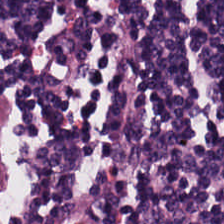H&E. FFPE tissue section. 0.5 µm per pixel. The predominant tissue is lymphocytic infiltrate.
